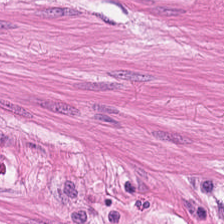Stain: hematoxylin and eosin.
Classification: muscularis.
